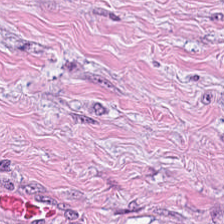Formalin-fixed paraffin-embedded section · H&E stain · 224×224 px patch.
This field is tumor-associated stroma.
